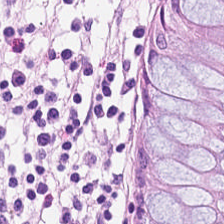Hematoxylin and eosin — Q: What is shown here?
A: Non-neoplastic colon mucosa.
